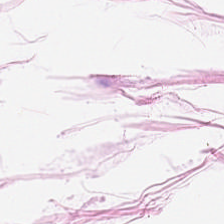H&E.
Predominantly adipose.
